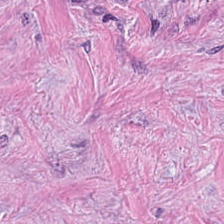H&E-stained tissue section. The tissue here is tumor-associated stroma.
